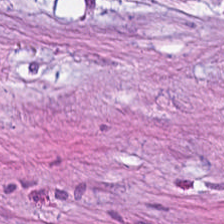H&E — The predominant tissue is cancer-associated stroma.
